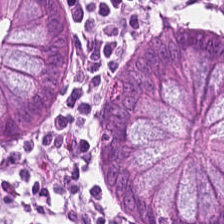H&E stain · brightfield · 0.5 microns per pixel.
This field is normal colonic mucosa.
